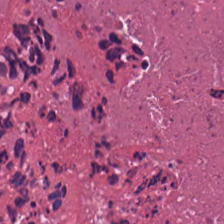Hematoxylin and eosin. 224×224 pixel tile. FFPE — Necrotic debris.
